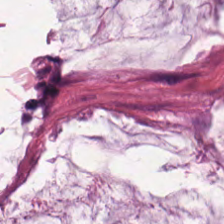Hematoxylin-and-eosin stained section; whole-slide-image patch — Tissue: mucus.
